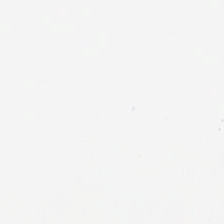Stain: hematoxylin-and-eosin stained section.
Content: no tissue.
